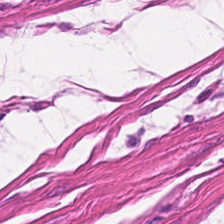H&E; brightfield microscopy — Tissue type = smooth-muscle tissue.
